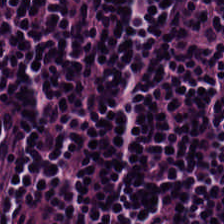0.5 µm/px. Hematoxylin and eosin.
Q: What type of tissue is this?
A: Lymphocytic infiltrate.
